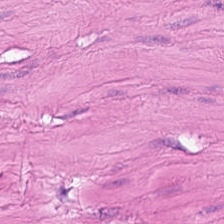H&E-stained tissue section — This patch shows smooth muscle.
